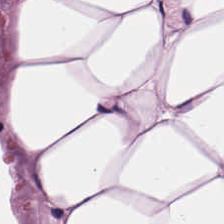H&E. Adipocytes.
